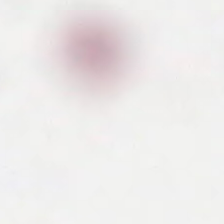H&E; FFPE tissue section.
Content: no tissue.
